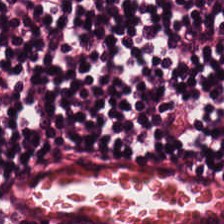H&E stain — Q: Classify this patch.
A: It is lymphocytes.
